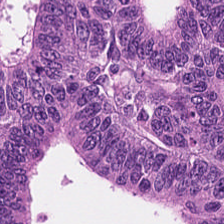H&E; whole-slide-image patch — This field is tumor epithelium.
